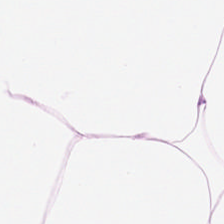H&E-stained tissue section — Tissue type = fat tissue.
